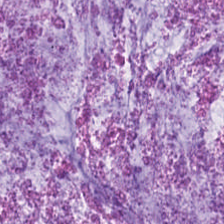H&E. 20× equivalent magnification. Q: Classify this patch.
A: The field shows extracellular mucin.
